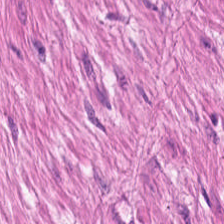H&E stain — The tissue here is smooth muscle.
